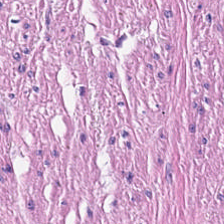Stain: H&E.
Resolution: 0.5 microns per pixel.
Tissue class: muscularis.
